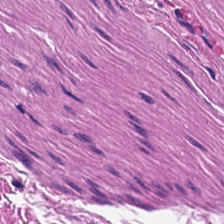Histology → smooth-muscle tissue.
